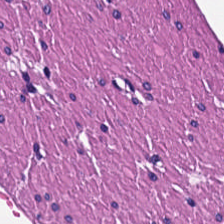224×224 pixel tile. H&E-stained tissue section — Tissue type: smooth-muscle tissue.
